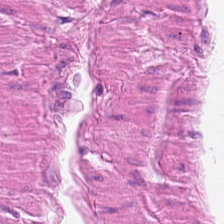20× equivalent magnification · 224×224 px tile · H&E. Q: Classify this patch.
A: The field shows smooth-muscle tissue.
